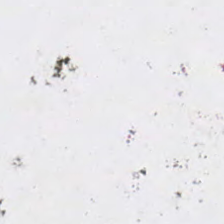Stain: H&E.
Field content: empty background.
